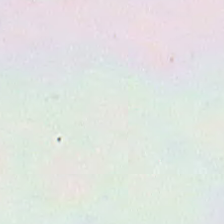H&E stain — Content = no tissue.
